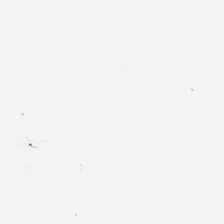Stain: H&E-stained tissue section.
Preparation: FFPE.
Field content: background.
